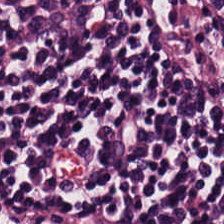Hematoxylin and eosin — The tissue here is lymphoid infiltrate.
